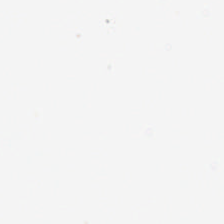H&E.
No tissue.
